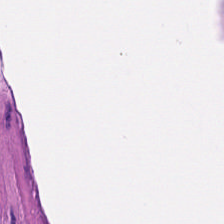Hematoxylin and eosin.
Muscularis.
